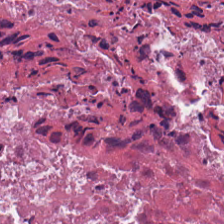Histology — cellular debris.
